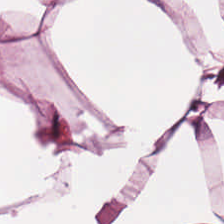H&E-stained tissue section; FFPE tissue section; 224×224 px patch.
{"tissue_type": "adipose tissue"}
